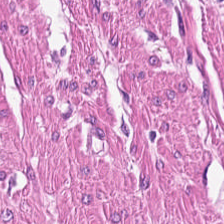Hematoxylin-and-eosin stained section. Showing smooth muscle.
